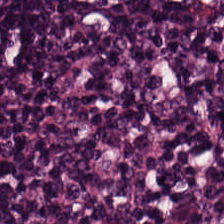Stain: H&E.
Preparation: FFPE.
Resolution: 0.5 microns per pixel.
Tissue: lymphoid infiltrate.
